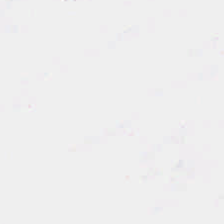Hematoxylin and eosin. Empty field — no tissue.
